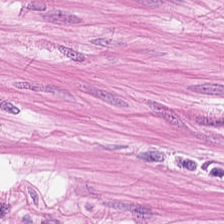Hematoxylin and eosin.
Histology — muscularis.
